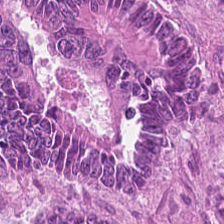Stain: hematoxylin-and-eosin stained section.
Acquisition: brightfield.
Tissue class: colorectal adenocarcinoma epithelium.
